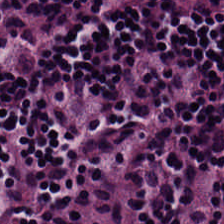0.5 µm/px · H&E — This patch shows lymphocytes.
